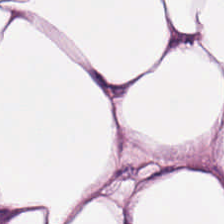Classification — adipocytes.
